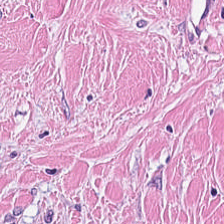H&E-stained tissue section — Tissue type: tumor-associated stroma.
